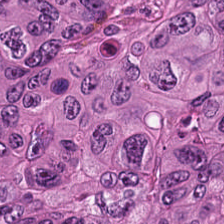H&E — colorectal adenocarcinoma.
